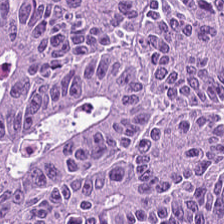Hematoxylin-and-eosin stained section · brightfield.
Finding → adenocarcinoma.
